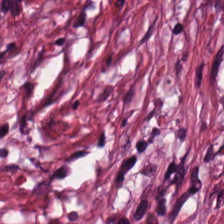H&E stain. Tissue = tumor stroma.
